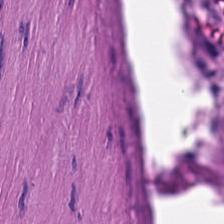Hematoxylin-and-eosin stained section — Classification = smooth muscle.
